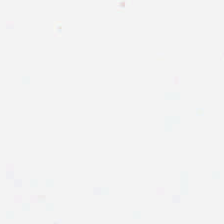H&E-stained tissue section — Q: Classify this patch.
A: Background (no tissue).
